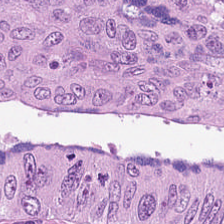Histology → colorectal adenocarcinoma epithelium.
